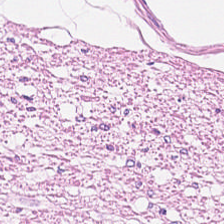20× equivalent magnification; H&E — {"tissue_type": "smooth muscle"}
